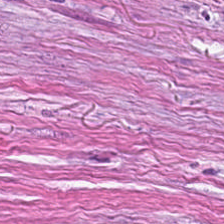Hematoxylin-and-eosin stained section; FFPE; whole-slide-image patch.
This field is desmoplastic stroma.
